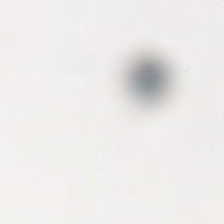Classification — background (no tissue).
